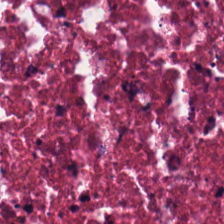Stain: H&E stain.
Tissue class: cellular debris.
